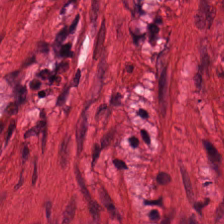Hematoxylin and eosin · whole-slide-image patch. This patch shows muscularis.
